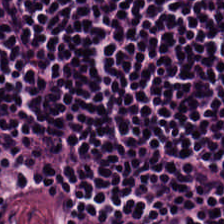The predominant tissue is lymphoid infiltrate.
